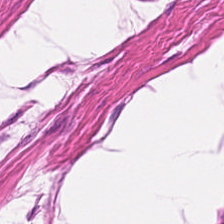Stain: H&E.
Tile size: 224×224 px patch.
Tissue type: smooth muscle.
